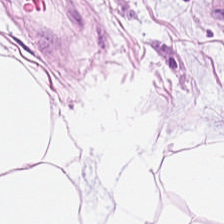Predominant tissue: adipose.
